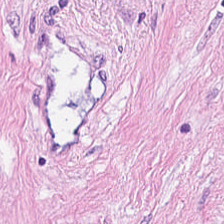H&E.
The tissue type is tumor-associated stroma.
